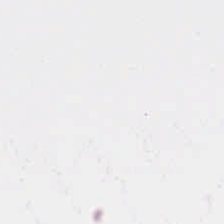Stain: hematoxylin-and-eosin stained section.
Field content: no tissue.
